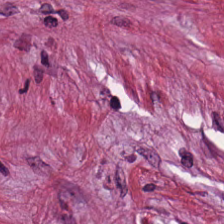Impression — tumor-associated stroma.
